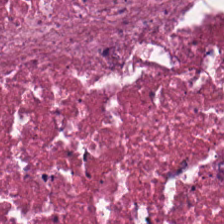H&E-stained tissue section.
The tissue here is necrotic debris.
